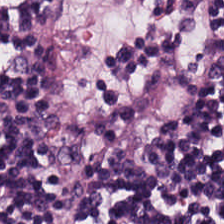FFPE tissue section; H&E — Q: What is shown here?
A: Lymphocytes.
